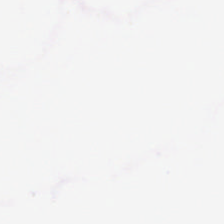Field content — empty background.
